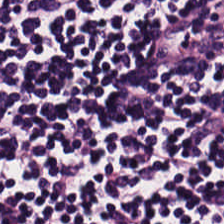H&E stain · WSI patch.
This patch shows lymphocyte aggregate.
